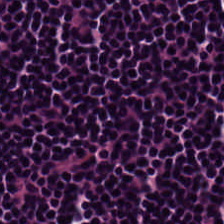H&E.
Predominantly lymphocyte aggregate.
